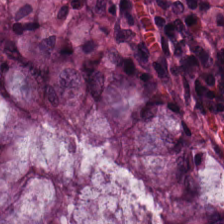Stain: H&E-stained tissue section.
Tissue type: non-neoplastic colon mucosa.
